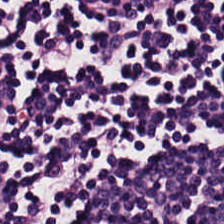H&E-stained tissue section. Tissue class: lymphoid infiltrate.
